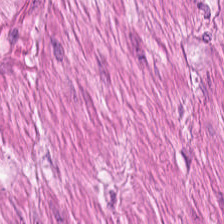Hematoxylin and eosin. Tissue type: smooth-muscle tissue.
